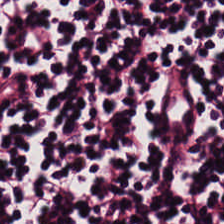WSI patch · hematoxylin-and-eosin stained section.
The tissue here is lymphocyte aggregate.
